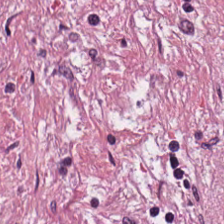H&E. 224×224 pixel tile.
Finding — cancer-associated stroma.
